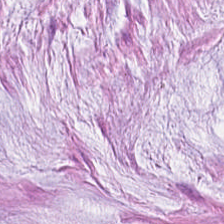WSI patch · formalin-fixed paraffin-embedded section · H&E. Showing mucus.
